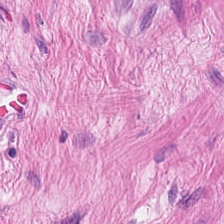Stain: H&E stain.
Tissue: muscularis.
